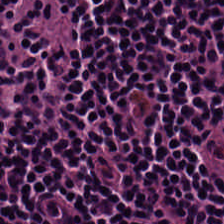H&E.
Showing lymphocyte aggregate.
